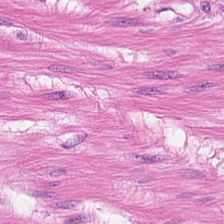WSI patch; hematoxylin-and-eosin stained section; FFPE — Smooth-muscle tissue.
